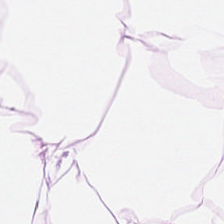Hematoxylin and eosin · FFPE — {"tissue_type": "adipocytes"}
